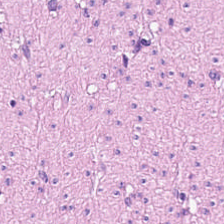H&E-stained tissue section. Predominantly smooth muscle.
